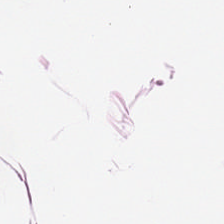Hematoxylin-and-eosin stained section · 224×224 px patch — This patch shows adipose tissue.
